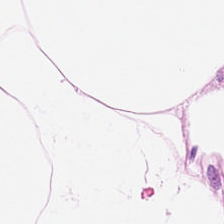Q: What tissue type is shown here?
A: It is fat tissue.
